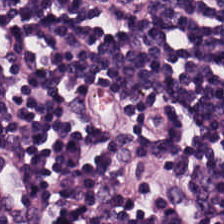Hematoxylin-and-eosin stained section; whole-slide-image patch — Q: What is the predominant tissue type?
A: Lymphocytic infiltrate.
